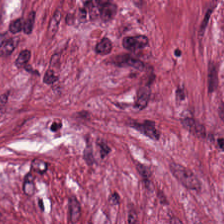0.5 microns per pixel; 224×224 px patch; H&E-stained tissue section.
Desmoplastic stroma.
